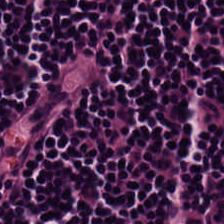H&E-stained section; the field shows lymphoid infiltrate.
